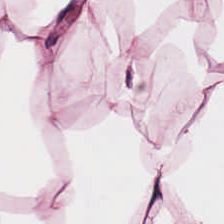Stain: H&E-stained tissue section.
Tissue: adipose.
